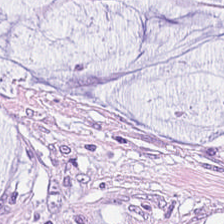The predominant tissue is extracellular mucin.
